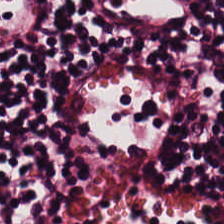Formalin-fixed paraffin-embedded section; H&E stain.
Lymphocyte aggregate.
